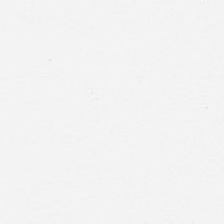Q: What is shown here?
A: It is empty background.
